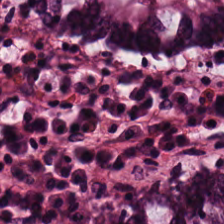H&E-stained tissue section · whole-slide-image patch — Q: What is shown in this field?
A: The field shows normal colonic mucosa.
